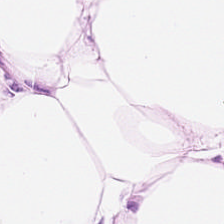0.5 µm per pixel. Formalin-fixed paraffin-embedded section. H&E stain — Predominantly adipose tissue.
